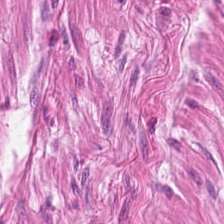Hematoxylin-and-eosin stained section. Q: What is shown in this field?
A: Smooth-muscle tissue.
